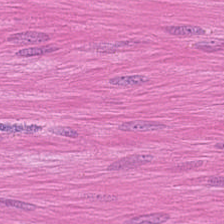Showing smooth-muscle tissue.
